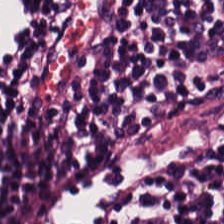Hematoxylin and eosin. 224×224 px patch.
The predominant tissue is lymphocyte aggregate.
